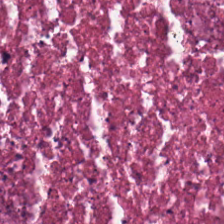H&E patch showing necrotic debris.
